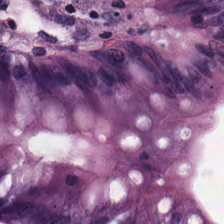H&E · brightfield. Tissue: normal colonic mucosa.
